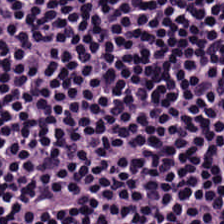224×224 pixel tile. H&E-stained tissue section.
Lymphocyte aggregate.
